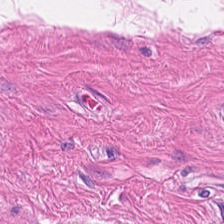Hematoxylin-and-eosin stained section — Tissue type = muscularis.
